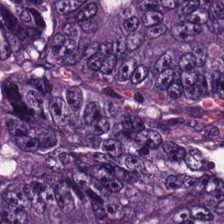Stain: H&E-stained tissue section.
Tissue: colorectal adenocarcinoma epithelium.
